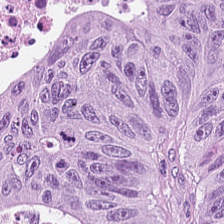FFPE tissue section; H&E-stained tissue section.
The tissue is malignant epithelium.
